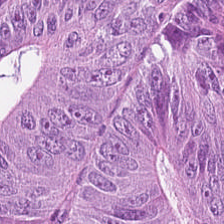Hematoxylin and eosin. This field is adenocarcinoma.
